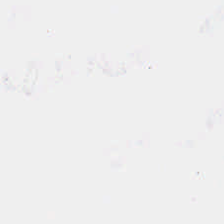Q: What is shown here?
A: This is background.
